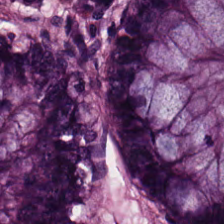Stain: H&E-stained tissue section.
Classification: benign colonic mucosa.
